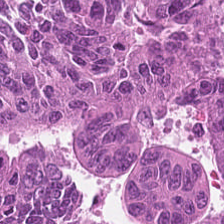Stain: H&E stain.
Classification: adenocarcinoma.
